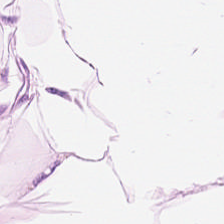Hematoxylin and eosin. The classification is adipocytes.
